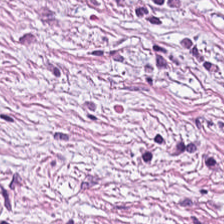Stain: hematoxylin-and-eosin stained section.
Predominant tissue: tumor stroma.
